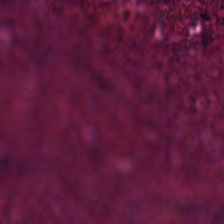Stain: hematoxylin and eosin.
Predominant tissue: cellular debris.
